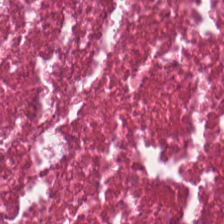Stain: H&E stain.
Acquisition: whole-slide-image patch.
Predominant tissue: cellular debris.
